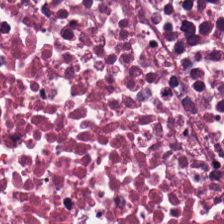H&E-stained tissue section. {"tissue_type": "cellular debris"}
